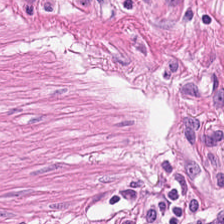Showing smooth muscle.
